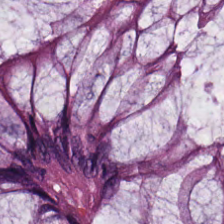20× equivalent magnification; H&E — Finding — non-neoplastic colon mucosa.
